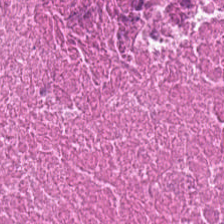Hematoxylin-and-eosin stained section — This field is necrotic debris.
